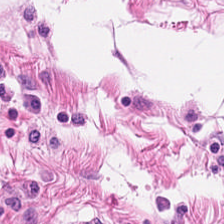H&E-stained tissue section — Tissue type: smooth-muscle tissue.
